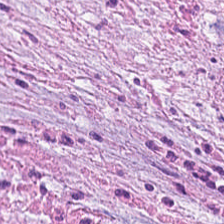H&E-stained tissue section showing cancer-associated stroma.
